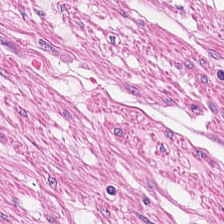Stain: H&E.
Classification: smooth-muscle tissue.
